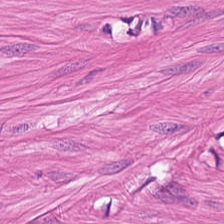FFPE tissue section. H&E stain — Q: What is the predominant tissue type?
A: This is smooth muscle.
